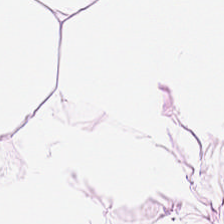Stain: hematoxylin and eosin.
Acquisition: WSI patch.
Resolution: 0.5 microns per pixel.
Predominant tissue: adipocytes.
